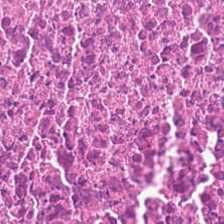H&E stain — Classification: debris.
